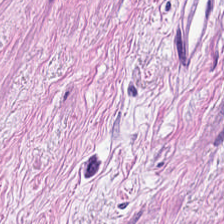Histology — smooth muscle.
